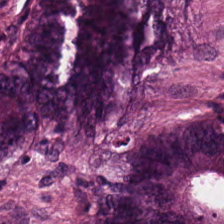Stain: H&E stain.
Tissue: tumor epithelium.
